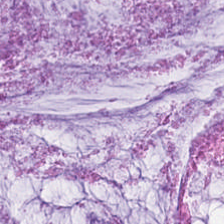Histology → extracellular mucin.
